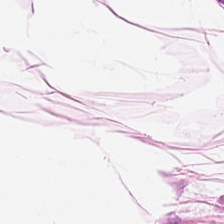Stain: hematoxylin and eosin.
Resolution: 0.5 microns per pixel.
Predominant tissue: fat tissue.
